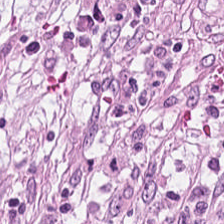Stain: H&E-stained tissue section.
Classification: tumor-associated stroma.
